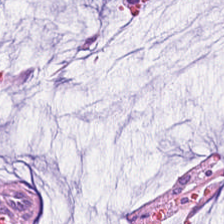Q: What tissue is shown?
A: This is mucin.
